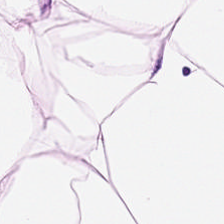224×224 px tile; H&E — Predominantly adipose tissue.
